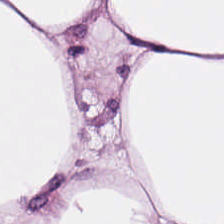Hematoxylin and eosin. {"tissue_type": "adipose"}
